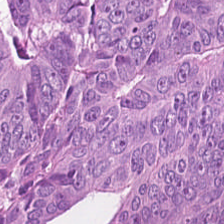Stain: H&E stain.
Predominant tissue: adenocarcinoma.
